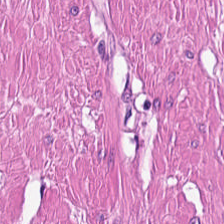20× equivalent magnification; H&E. Histology — muscularis.
